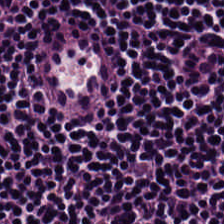FFPE; hematoxylin-and-eosin stained section.
Tissue class: lymphocyte aggregate.
